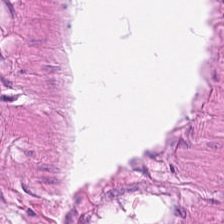Stain: hematoxylin-and-eosin stained section.
Acquisition: brightfield microscopy.
Preparation: FFPE.
Predominant tissue: smooth muscle.
